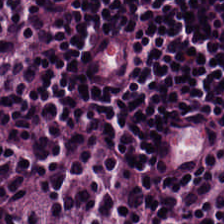Stain: H&E stain.
Acquisition: whole-slide-image patch.
Preparation: formalin-fixed paraffin-embedded section.
Tissue type: lymphocytes.
